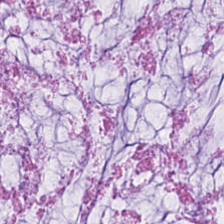Hematoxylin and eosin.
The tissue here is extracellular mucin.
